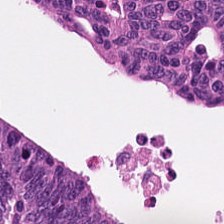H&E stain.
Predominantly colorectal adenocarcinoma.
